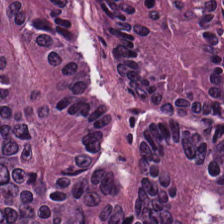WSI patch. Hematoxylin and eosin.
Q: What type of tissue is this?
A: The field shows adenocarcinoma.
